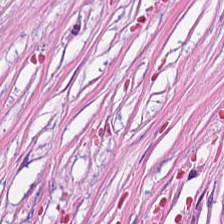Q: What type of tissue is this?
A: Tumor stroma.
